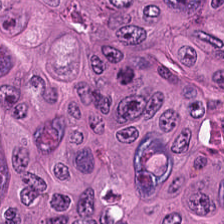WSI patch; H&E.
Showing adenocarcinoma.
